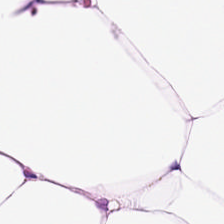Stain: hematoxylin and eosin.
Predominant tissue: fat tissue.
